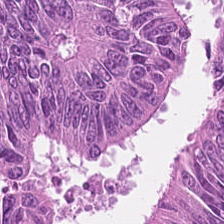Hematoxylin-and-eosin stained section.
Q: Classify this patch.
A: It is adenocarcinoma.
